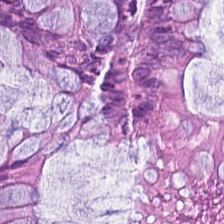224×224 px patch. FFPE. H&E. This field is non-neoplastic colon mucosa.
